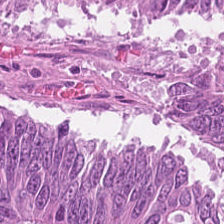H&E-stained tissue section. Predominantly colorectal adenocarcinoma.
